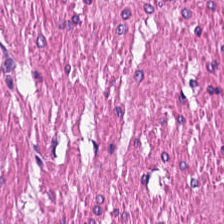H&E — The tissue class is smooth muscle.
